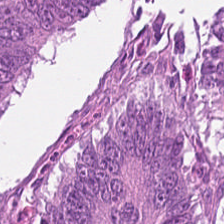H&E stain. 0.5 µm per pixel. Brightfield — The tissue type is malignant epithelium.
